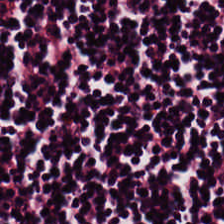Formalin-fixed paraffin-embedded section; H&E.
Q: What type of tissue is this?
A: Lymphocyte aggregate.
